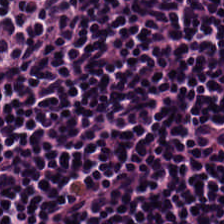H&E-stained tissue section.
The tissue here is lymphocyte aggregate.
